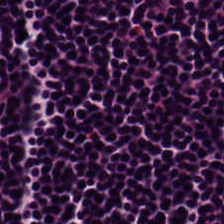20× equivalent magnification; H&E stain; WSI patch — Q: What is the predominant tissue type?
A: The field shows lymphocytes.
